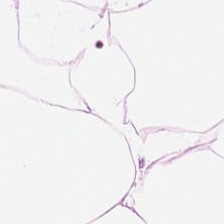224×224 px tile; formalin-fixed paraffin-embedded section; hematoxylin-and-eosin stained section. Tissue: adipose tissue.
